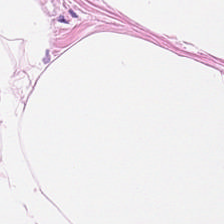H&E-stained tissue section. Finding → adipocytes.
